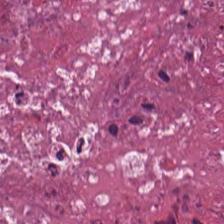Stain: hematoxylin and eosin.
Predominant tissue: debris.
